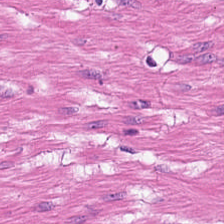0.5 µm/px; H&E. The tissue here is muscularis.
